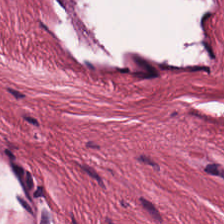H&E-stained tissue section.
The predominant tissue is cancer-associated stroma.
